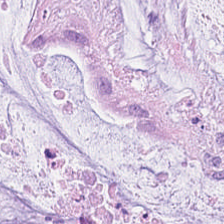Predominant tissue = mucus.
